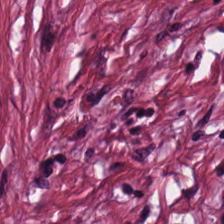0.5 microns per pixel; H&E; FFPE.
This field is desmoplastic stroma.
